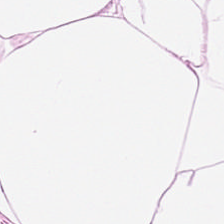H&E.
The predominant tissue is adipose.
